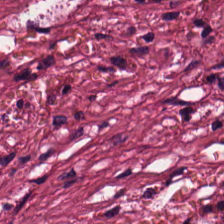Histology → cancer-associated stroma.
